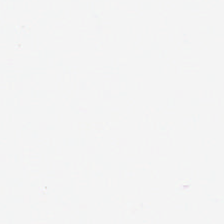H&E stain · 224×224 pixel tile — Content — no tissue.
